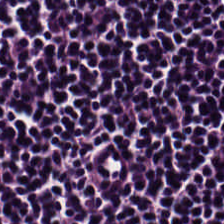Tissue class — lymphocytes.
